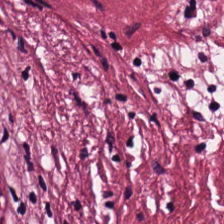Hematoxylin and eosin.
{"tissue_type": "tumor-associated stroma"}
